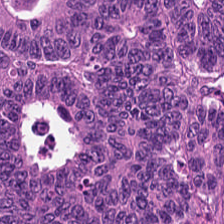Predominant tissue = colorectal adenocarcinoma epithelium.
